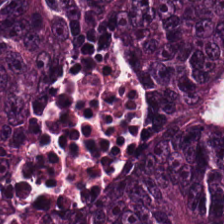H&E stain — Q: What is shown here?
A: Tumor epithelium.
